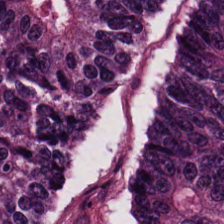Brightfield microscopy; hematoxylin and eosin — Q: What tissue is shown?
A: The field shows tumor epithelium.
